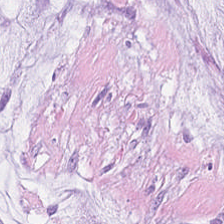Q: What is shown here?
A: Extracellular mucin.
